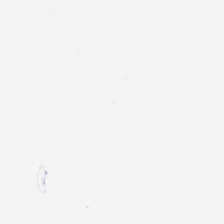Brightfield microscopy · FFPE · H&E-stained tissue section.
Q: What is shown in this field?
A: The field shows no tissue.
